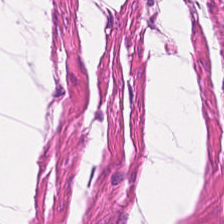H&E-stained tissue section. Tissue type = smooth muscle.
